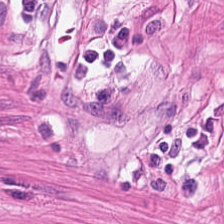H&E-stained tissue section. Q: What tissue is shown?
A: Muscularis.
